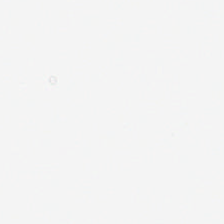H&E stain; 0.5 µm/px — Q: What is shown in this field?
A: The field shows background.
